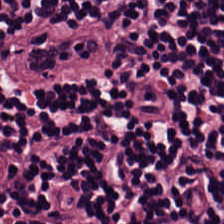Predominantly lymphocytic infiltrate.
